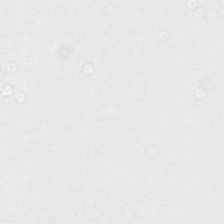Hematoxylin-and-eosin stained section; whole-slide-image patch; 224×224 px patch. Background.
